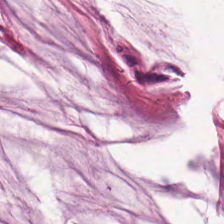224×224 px patch; hematoxylin-and-eosin stained section. Finding → mucin.
